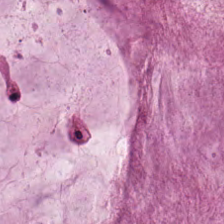The tissue here is extracellular mucin.
